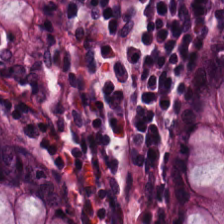Hematoxylin and eosin — {"tissue_type": "normal colon mucosa"}
